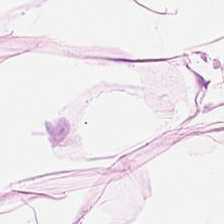H&E.
This field is adipose tissue.
